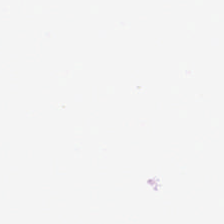H&E stain · 224×224 pixel tile · 0.5 µm per pixel — Impression — background.
